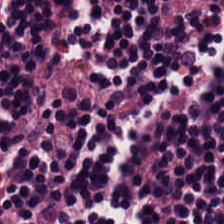H&E stain. Finding — lymphocytes.
